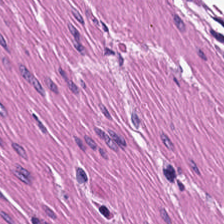Brightfield. Hematoxylin and eosin — Histology — smooth-muscle tissue.
